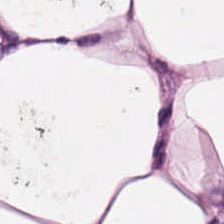H&E stain.
Tissue — adipose.
